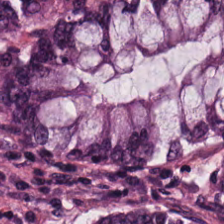H&E stain. The tissue type is benign colonic mucosa.
